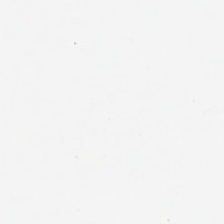Classification: no tissue.
